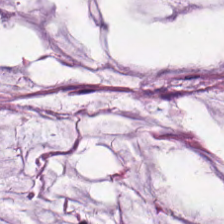H&E-stained tissue section; 0.5 µm/px. This patch shows extracellular mucin.
